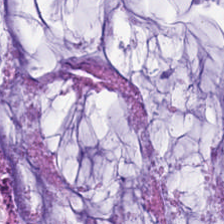Tissue = mucin.
